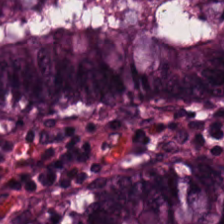Stain: H&E-stained tissue section.
Classification: non-neoplastic colon mucosa.
